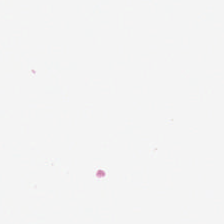Brightfield microscopy; H&E-stained tissue section — Content = background (no tissue).
